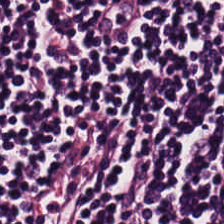Hematoxylin-and-eosin stained section — This field is lymphoid infiltrate.
